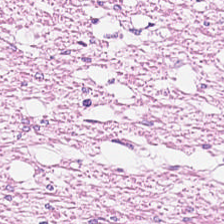Hematoxylin and eosin · 224×224 pixel tile · brightfield microscopy. Impression → muscularis.
